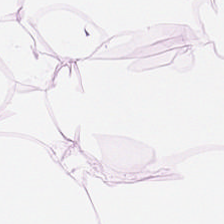Brightfield · FFPE · hematoxylin-and-eosin stained section — This patch shows fat tissue.
